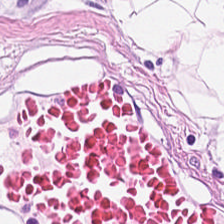H&E — fat tissue.
